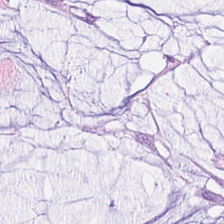H&E-stained tissue section; whole-slide-image patch; FFPE tissue section. Finding → mucus.
